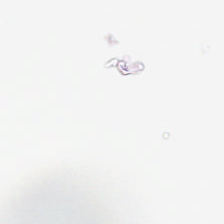H&E.
This patch shows no tissue.
